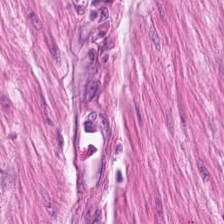Showing smooth-muscle tissue.
